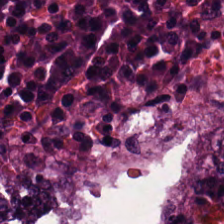Brightfield. H&E stain. Impression → colorectal adenocarcinoma epithelium.
